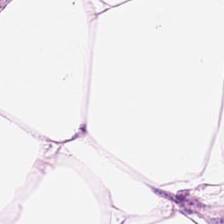Stain: hematoxylin and eosin.
Classification: adipose.
